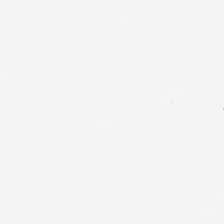H&E.
Impression → no tissue.
